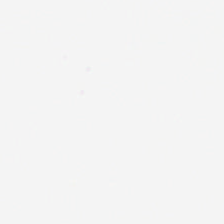Whole-slide-image patch · H&E stain. {"content": "no tissue"}
